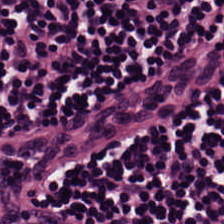Classification = lymphocytes.
